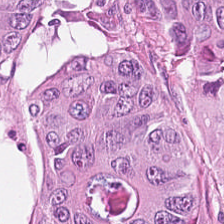H&E. The tissue here is colorectal adenocarcinoma.
